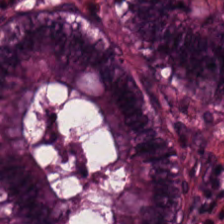FFPE. H&E stain. Whole-slide-image patch.
Showing benign colonic mucosa.
